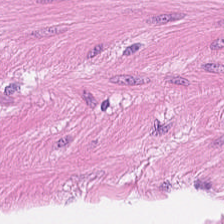Formalin-fixed paraffin-embedded section · H&E stain.
Tissue class — smooth-muscle tissue.
